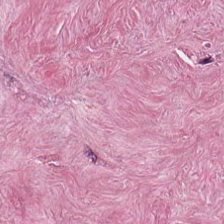Tissue type — desmoplastic stroma.
